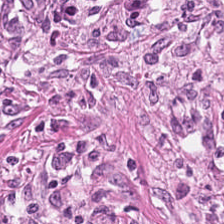Hematoxylin-and-eosin stained section; formalin-fixed paraffin-embedded section; 224×224 px patch. Predominantly tumor stroma.
